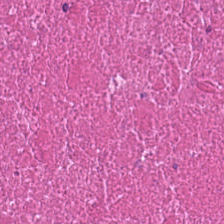FFPE. Hematoxylin-and-eosin stained section — Impression — necrotic debris.
